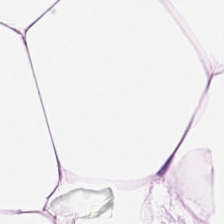H&E stain. The tissue here is adipose.
